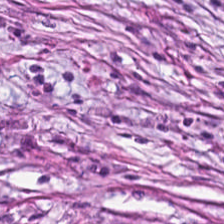Hematoxylin and eosin; FFPE tissue section. This patch shows tumor-associated stroma.
